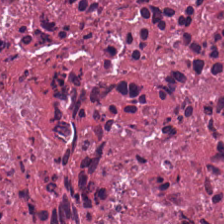Hematoxylin and eosin.
This patch shows cellular debris.
